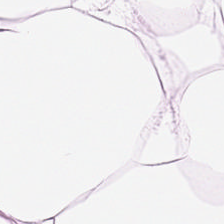H&E — Tissue class: adipocytes.
